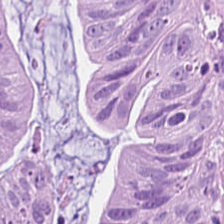Hematoxylin and eosin; 20× equivalent magnification; 224×224 px tile. The predominant tissue is tumor epithelium.
